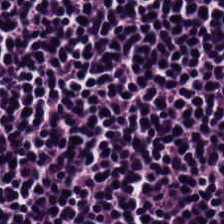H&E-stained tissue section; FFPE; 0.5 µm/px — Classification — lymphocyte aggregate.
